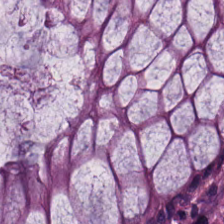224×224 px tile. Hematoxylin and eosin — Tissue class: benign colonic mucosa.
